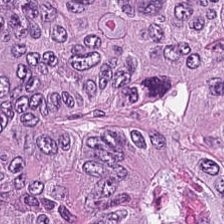The predominant tissue is tumor epithelium.
